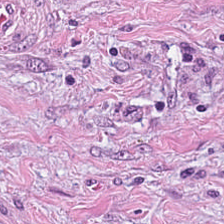FFPE tissue section; hematoxylin and eosin.
Predominant tissue = cancer-associated stroma.
